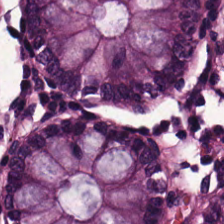Whole-slide-image patch · H&E stain. The tissue here is benign colonic mucosa.
